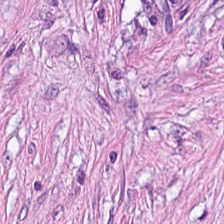FFPE tissue section; H&E; 20× equivalent magnification — Tissue class = desmoplastic stroma.
